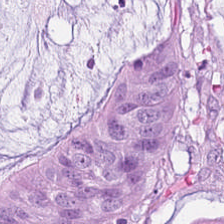0.5 µm per pixel; hematoxylin-and-eosin stained section — The predominant tissue is mucus.
